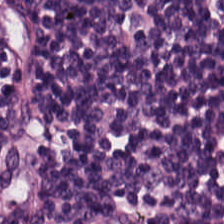Stain: H&E.
Classification: lymphocyte aggregate.
